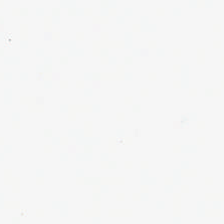Background (no tissue).
